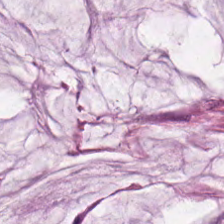H&E patch showing extracellular mucin.
